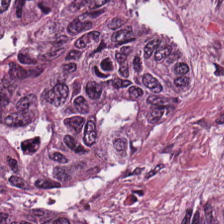Histology — tumor epithelium.
